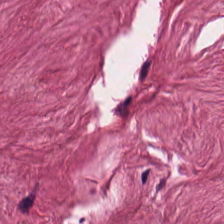H&E — Desmoplastic stroma.
